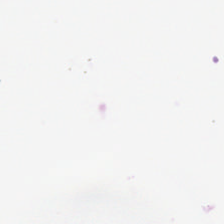Q: Classify this patch.
A: This is no tissue.
